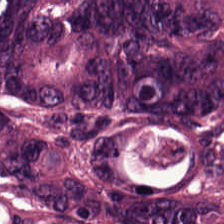224×224 px patch · H&E stain.
Impression — malignant epithelium.
